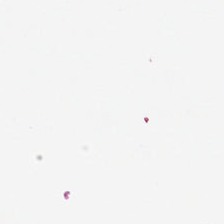Brightfield; H&E; FFPE tissue section.
This field is background (no tissue).
